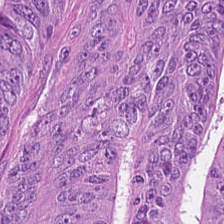H&E-stained tissue section showing colorectal adenocarcinoma epithelium.
